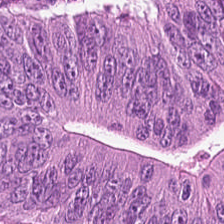H&E-stained tissue section.
Classification: tumor epithelium.
